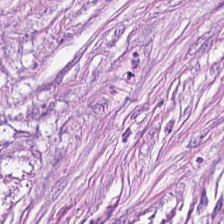H&E stain — Impression → tumor-associated stroma.
